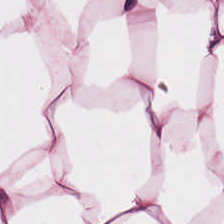H&E stain. 224×224 px patch — The tissue here is adipocytes.
